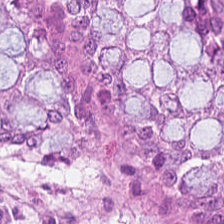Hematoxylin-and-eosin stained section — This patch shows benign colonic mucosa.
